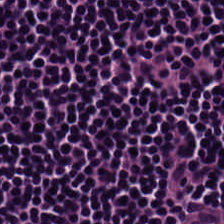0.5 µm per pixel; hematoxylin and eosin. Lymphocytes.
